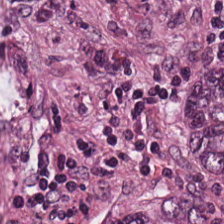Stain: hematoxylin-and-eosin stained section.
Classification: malignant epithelium.
